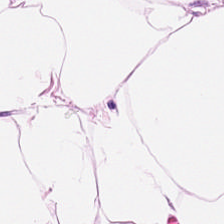0.5 µm per pixel; hematoxylin and eosin.
Q: What type of tissue is this?
A: It is adipocytes.
